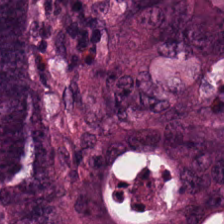Stain: hematoxylin-and-eosin stained section.
Tissue type: malignant epithelium.
